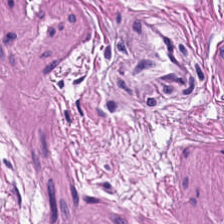Histology → smooth-muscle tissue.
